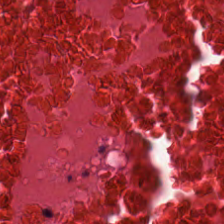Hematoxylin and eosin — Tissue class — cellular debris.
